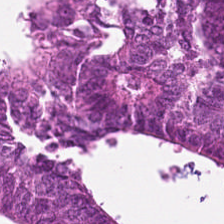H&E-stained tissue section.
Malignant epithelium.
